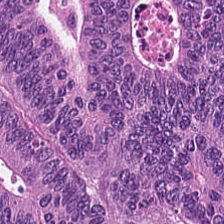H&E-stained tissue section — Q: What tissue type is shown here?
A: This is adenocarcinoma.
